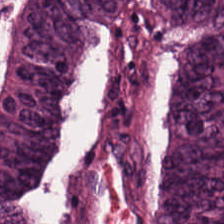Hematoxylin and eosin — Q: Classify this patch.
A: It is colorectal adenocarcinoma epithelium.
